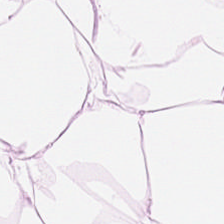0.5 microns per pixel. H&E. 224×224 px patch — Adipose tissue.
